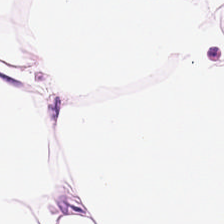H&E.
This patch shows adipose.
